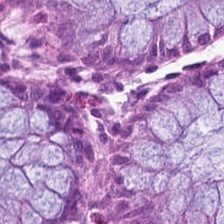224×224 pixel tile; hematoxylin-and-eosin stained section — This field is normal colonic mucosa.
